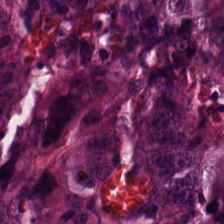H&E — Tissue: malignant epithelium.
